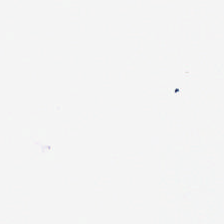H&E stain — Classification — background (no tissue).
